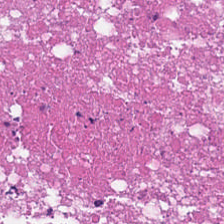224×224 px patch. Hematoxylin-and-eosin stained section — Showing debris.
